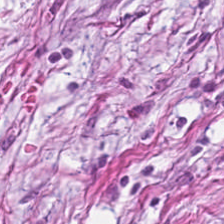{"tissue_type": "cancer-associated stroma"}
